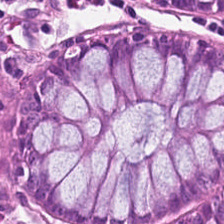The tissue here is non-neoplastic colon mucosa.
